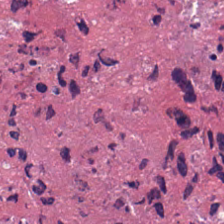H&E-stained tissue section · FFPE — This patch shows debris.
